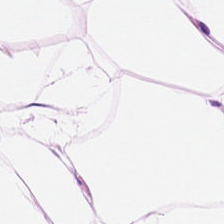Tissue type — fat tissue.
